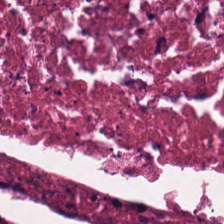Formalin-fixed paraffin-embedded section · H&E-stained tissue section.
Classification: debris.
